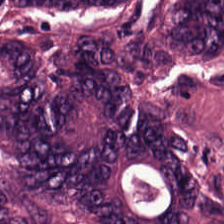0.5 µm/px; hematoxylin-and-eosin stained section.
The predominant tissue is colorectal adenocarcinoma epithelium.
